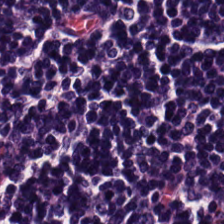Hematoxylin-and-eosin stained section; 224×224 px tile.
Tissue type = lymphocyte aggregate.
